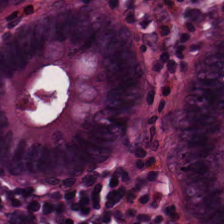Stain: H&E stain.
Classification: normal colon mucosa.
